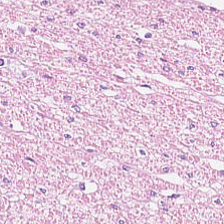Whole-slide-image patch. Hematoxylin and eosin — Showing smooth-muscle tissue.
